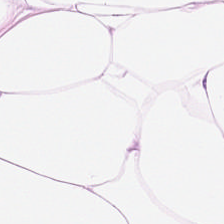H&E · FFPE. Fat tissue.
